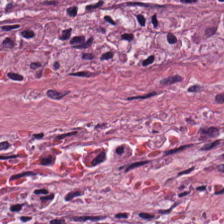This field is tumor stroma.
